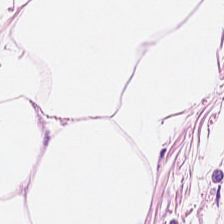Hematoxylin-and-eosin stained section — Tissue type — adipocytes.
